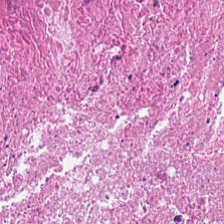Classification: debris.
